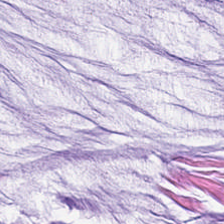Mucus.
